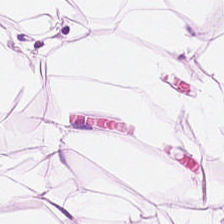H&E stain.
Fat tissue.
